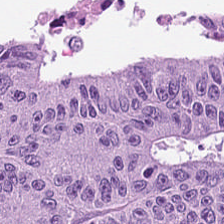Formalin-fixed paraffin-embedded section · hematoxylin-and-eosin stained section · 20× equivalent magnification — {"tissue_type": "tumor epithelium"}
